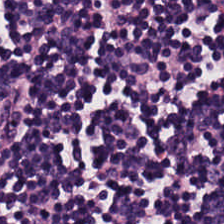The tissue here is lymphocytes.
